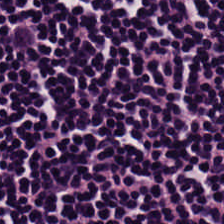Brightfield microscopy. H&E-stained tissue section. Classification — lymphocytes.
